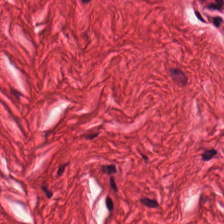Stain: H&E.
Tile size: 224×224 px patch.
Tissue type: smooth muscle.
